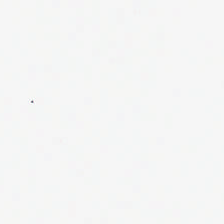Brightfield. H&E — {"content": "no tissue"}
